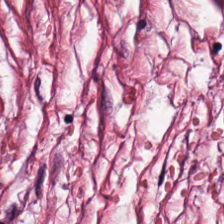Hematoxylin-and-eosin stained section.
Impression — tumor stroma.
